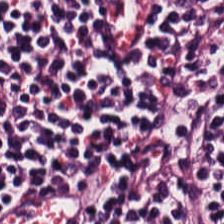H&E. Brightfield microscopy. Q: Classify this patch.
A: It is lymphoid infiltrate.
